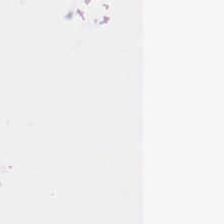H&E-stained tissue section; FFPE — Classification = background (no tissue).
